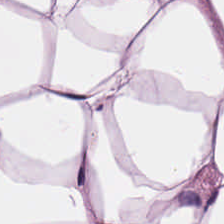Stain: H&E.
Predominant tissue: fat tissue.
